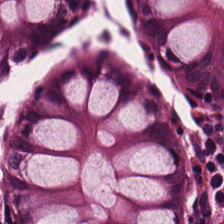0.5 µm/px; H&E-stained tissue section; WSI patch — Histology — normal colon mucosa.
